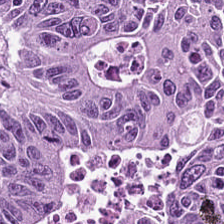Q: What tissue is shown?
A: This is malignant epithelium.
